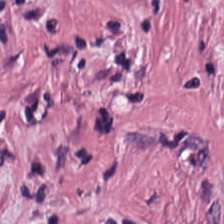FFPE tissue section · H&E stain — Q: Identify the tissue.
A: The field shows tumor stroma.
